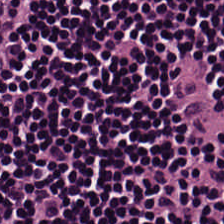Whole-slide-image patch; H&E stain.
This patch shows lymphocyte aggregate.
